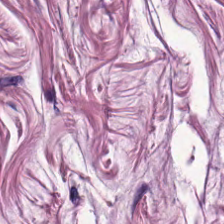The tissue is smooth-muscle tissue.
